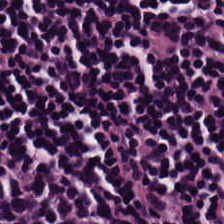H&E-stained tissue section. Q: What type of tissue is this?
A: It is lymphocytic infiltrate.
